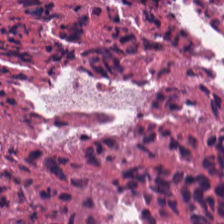20× equivalent magnification. H&E stain. 224×224 pixel tile. This field is necrotic debris.
